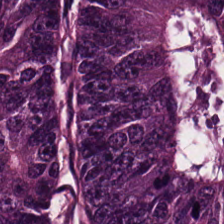Hematoxylin-and-eosin stained section. The tissue here is colorectal adenocarcinoma.
